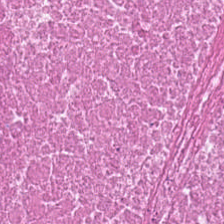Hematoxylin-and-eosin stained section — Histology → debris.
